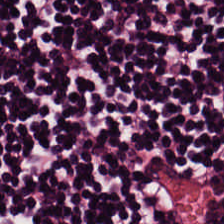Stain: hematoxylin and eosin.
Tissue class: lymphocytic infiltrate.
